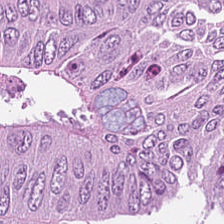H&E.
Q: Classify this patch.
A: Colorectal adenocarcinoma epithelium.
